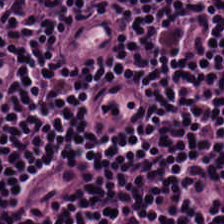0.5 µm per pixel. H&E-stained tissue section. Predominant tissue = lymphocyte aggregate.
